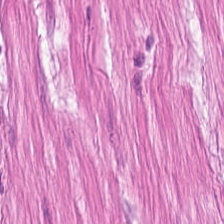H&E.
Showing smooth-muscle tissue.
